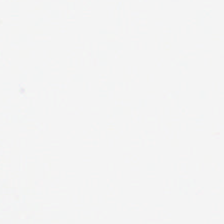Hematoxylin-and-eosin stained section. FFPE — No tissue present; background only.
